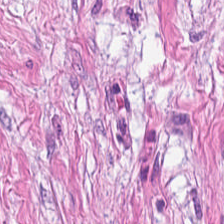Q: What is shown in this field?
A: It is desmoplastic stroma.
